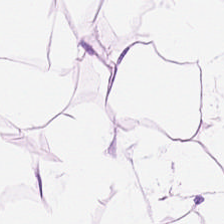H&E. Adipocytes.
